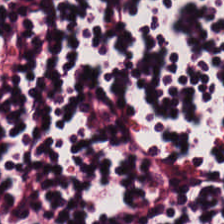Hematoxylin-and-eosin stained section. This patch shows lymphocyte aggregate.
